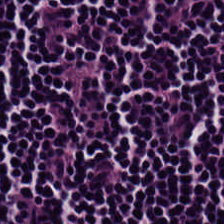Stain: H&E-stained tissue section.
Tissue type: lymphoid infiltrate.
